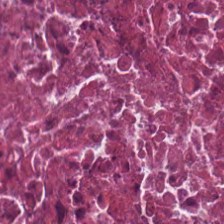Tissue class: debris.
